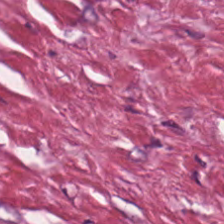H&E stain.
{"tissue_type": "tumor stroma"}
